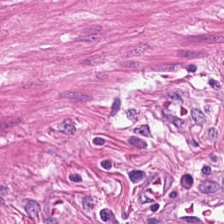H&E.
Muscularis.
